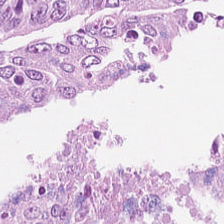Hematoxylin-and-eosin stained section · 0.5 microns per pixel.
Predominant tissue: colorectal adenocarcinoma epithelium.
